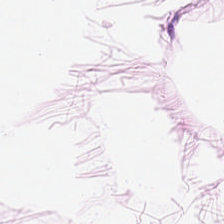Predominantly fat tissue.
